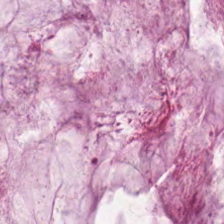H&E stain. 224×224 px tile.
Predominant tissue = mucus.
